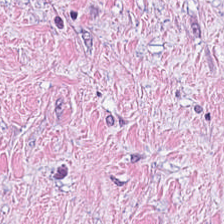Tissue class: cancer-associated stroma.
